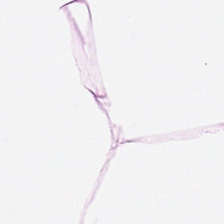Q: What tissue is shown?
A: This is adipose.
